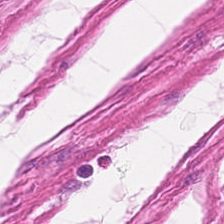H&E. Showing muscularis.
